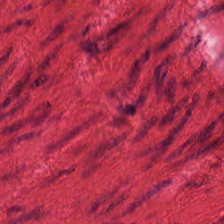Q: What type of tissue is this?
A: The field shows muscularis.
